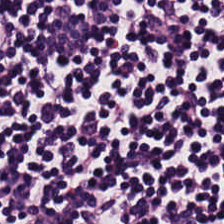224×224 px tile · hematoxylin-and-eosin stained section — The classification is lymphocytic infiltrate.
